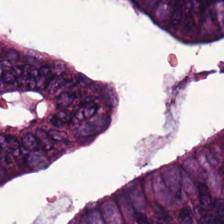Hematoxylin-and-eosin stained section. Impression — colorectal adenocarcinoma epithelium.
